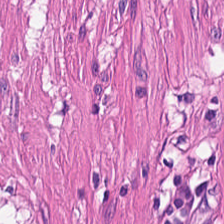H&E-stained tissue section · brightfield.
This field is smooth muscle.
